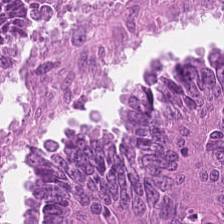Q: What type of tissue is this?
A: This is adenocarcinoma.
